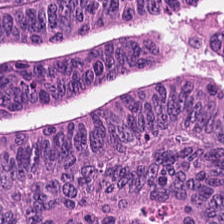Q: What does this patch show?
A: This is adenocarcinoma.
